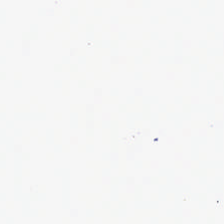Stain: H&E.
Preparation: FFPE tissue section.
Classification: background.
